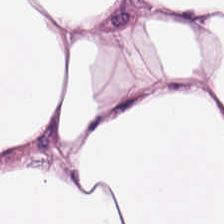Hematoxylin-and-eosin section: adipose tissue.
